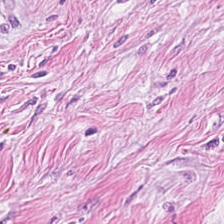H&E stain — Tissue type — tumor stroma.
